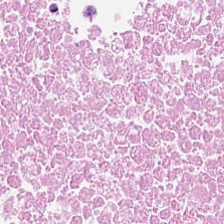Hematoxylin-and-eosin stained section. Q: What tissue type is shown here?
A: It is cellular debris.
